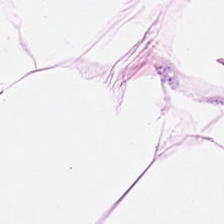FFPE; H&E — This patch shows adipose tissue.
